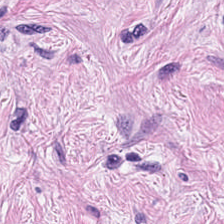224×224 px patch; FFPE tissue section; H&E-stained tissue section — Showing tumor stroma.
